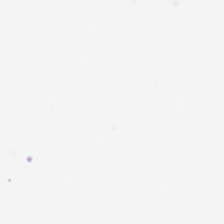Q: What is shown here?
A: The field shows background.
